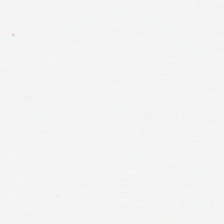This patch shows empty background.
